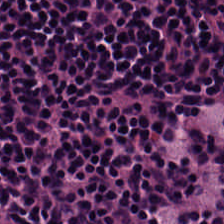H&E-stained tissue section — Impression → lymphocytes.
